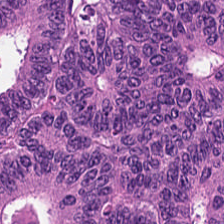Hematoxylin-and-eosin stained section — Tissue = malignant epithelium.
